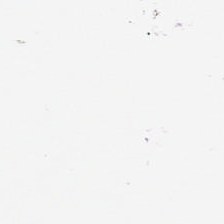Hematoxylin-and-eosin stained section.
Field content — background (no tissue).
